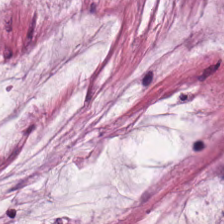H&E-stained tissue section.
The predominant tissue is mucus.
